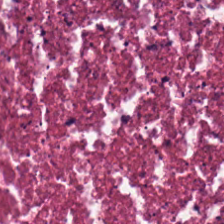H&E stain; 0.5 µm/px; FFPE — The tissue type is debris.
